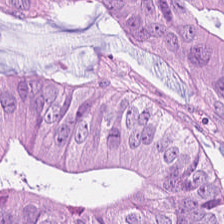Hematoxylin and eosin. {"tissue_type": "malignant epithelium"}
